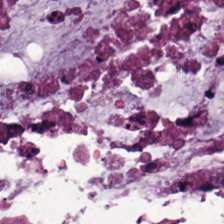FFPE; whole-slide-image patch; H&E. Tissue class — mucin.
